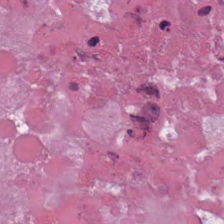Hematoxylin and eosin. The classification is necrotic debris.
